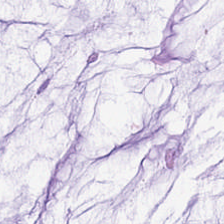Stain: hematoxylin and eosin.
Resolution: 0.5 µm/px.
Preparation: FFPE tissue section.
Tissue type: mucus.
